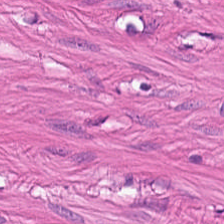H&E stain.
This field is smooth-muscle tissue.
